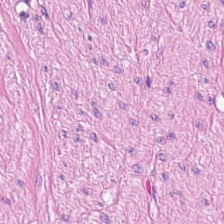Hematoxylin-and-eosin stained section.
Predominant tissue: muscularis.
